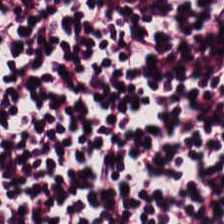Hematoxylin-and-eosin stained section. 224×224 px patch.
Tissue class = lymphocytes.
